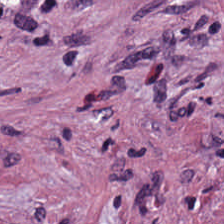Hematoxylin and eosin — {"tissue_type": "desmoplastic stroma"}
